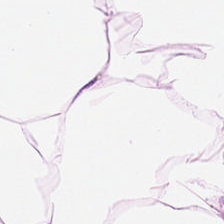H&E-stained tissue section — The tissue here is adipose.
